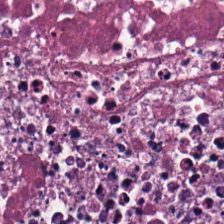H&E-stained tissue section. Predominant tissue — necrotic debris.
